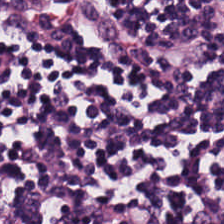Stain: hematoxylin and eosin.
Tissue type: lymphoid infiltrate.
